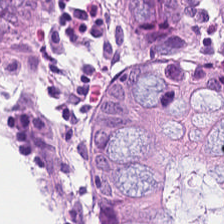Q: What does this patch show?
A: Normal colon mucosa.
